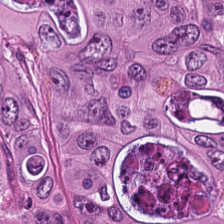Q: What type of tissue is this?
A: The field shows colorectal adenocarcinoma epithelium.
